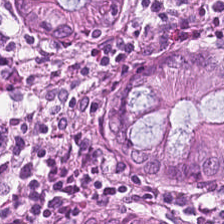Stain: H&E.
Tile size: 224×224 pixel tile.
Tissue: normal colon mucosa.
